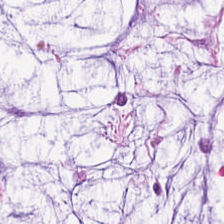0.5 µm per pixel. Brightfield microscopy. Hematoxylin-and-eosin stained section.
This field is mucin.
